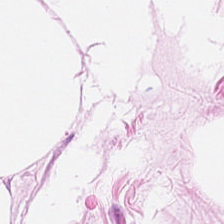Hematoxylin and eosin · 0.5 microns per pixel. Tissue: adipose.
